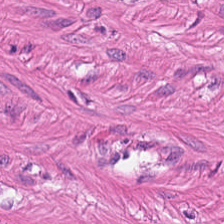Hematoxylin-and-eosin stained section; whole-slide-image patch; 0.5 µm/px — Smooth-muscle tissue.
